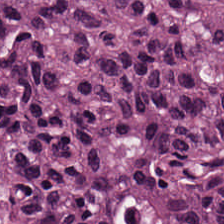H&E stain. Predominantly malignant epithelium.
